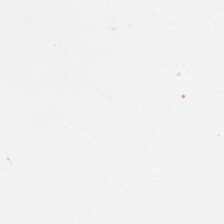H&E; 224×224 px patch.
Empty field — empty background.
